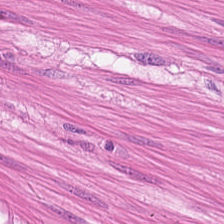Tissue type — muscularis.
